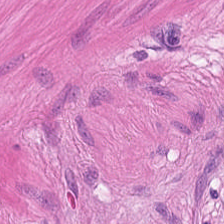The predominant tissue is muscularis.
